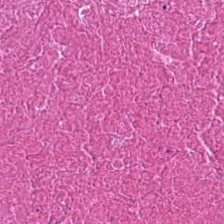Hematoxylin and eosin — Q: What type of tissue is this?
A: This is necrotic debris.
